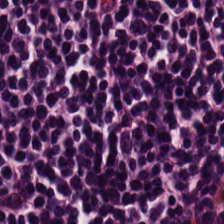Hematoxylin and eosin.
Showing lymphocyte aggregate.
